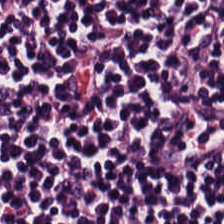Brightfield · hematoxylin and eosin — Finding → lymphoid infiltrate.
